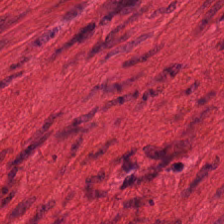Hematoxylin-and-eosin stained section. Predominant tissue = smooth muscle.
